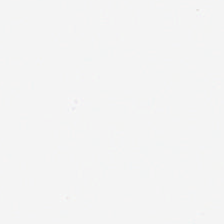FFPE tissue section · hematoxylin-and-eosin stained section — Empty field — no tissue.
